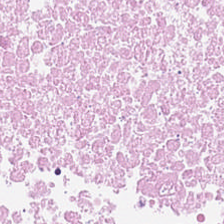Stain: H&E stain.
Tissue: cellular debris.
